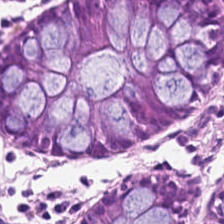H&E-stained tissue section showing non-neoplastic colon mucosa.
